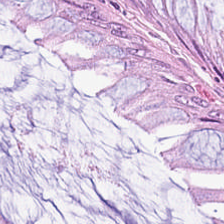H&E. Showing normal colon mucosa.
